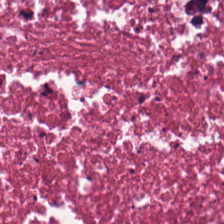H&E-stained tissue section. 224×224 px tile.
Predominantly cellular debris.
